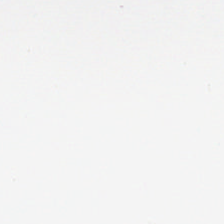Hematoxylin and eosin — No tissue present; background only.
